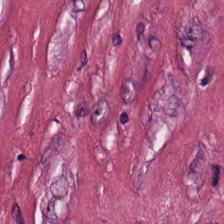H&E-stained tissue section — The predominant tissue is tumor-associated stroma.
